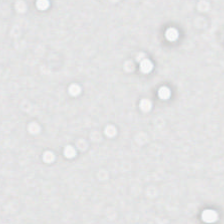The field content is empty background.
